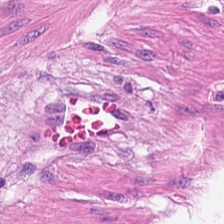Hematoxylin-and-eosin stained section — Predominantly smooth muscle.
